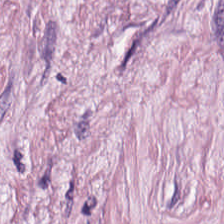H&E; WSI patch; 224×224 px tile — Predominant tissue — desmoplastic stroma.
